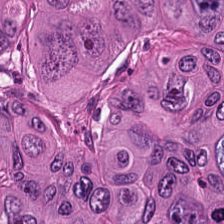Hematoxylin-and-eosin stained section — Q: What tissue is shown?
A: The field shows malignant epithelium.
